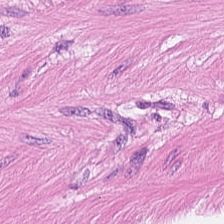H&E-stained tissue section.
Classification = smooth-muscle tissue.
